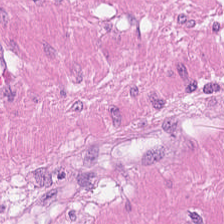Finding — smooth-muscle tissue.
